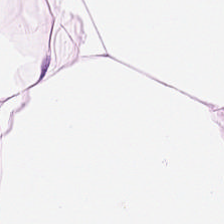0.5 µm/px. FFPE tissue section. Hematoxylin-and-eosin stained section.
Predominant tissue: fat tissue.
